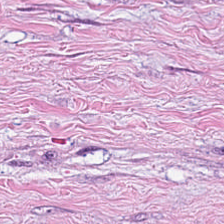H&E stain. Impression — desmoplastic stroma.
